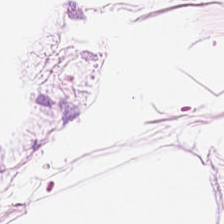Stain: H&E.
Tissue type: adipose tissue.
